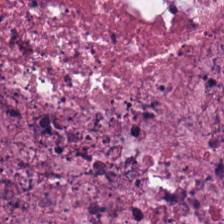H&E stain — Finding — debris.
